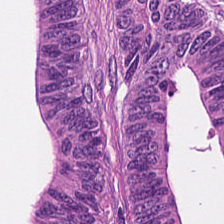Stain: hematoxylin-and-eosin stained section.
Acquisition: whole-slide-image patch.
Resolution: 20× equivalent magnification.
Predominant tissue: malignant epithelium.
